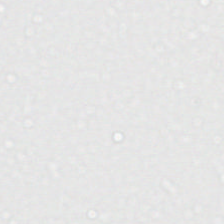Hematoxylin-and-eosin stained section — Background.
